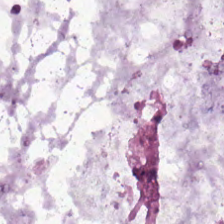Q: What is the predominant tissue type?
A: It is mucin.
